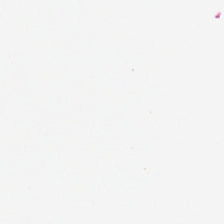This patch shows no tissue.
